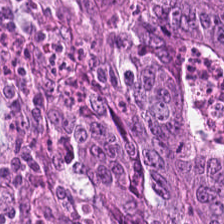H&E stain; 0.5 microns per pixel.
Q: What type of tissue is this?
A: Adenocarcinoma.
